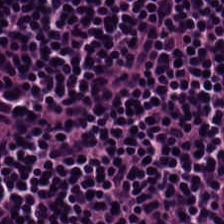H&E-stained tissue section. Tissue type — lymphocytes.
